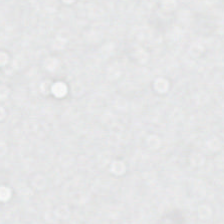H&E. Q: Classify this patch.
A: Background.
